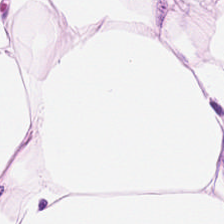Showing adipose.
